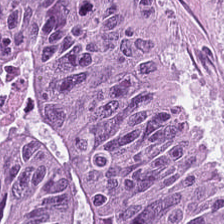This patch shows adenocarcinoma.
